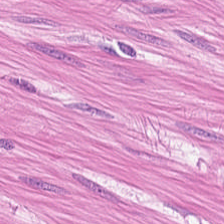Histology → muscularis.
